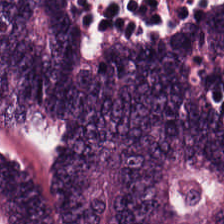224×224 px tile · 0.5 microns per pixel · H&E — Finding → tumor epithelium.
